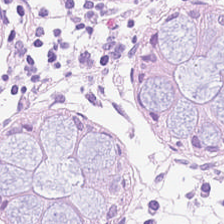Tissue class = non-neoplastic colon mucosa.
